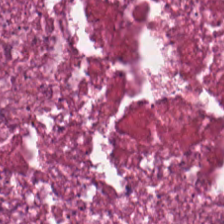Hematoxylin and eosin; FFPE tissue section — Predominantly debris.
